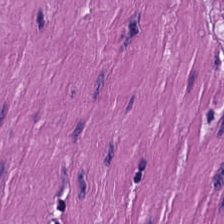224×224 pixel tile; hematoxylin-and-eosin stained section.
Tissue = smooth-muscle tissue.
